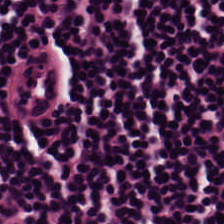Hematoxylin-and-eosin stained section · 0.5 µm/px. Tissue type: lymphoid infiltrate.
